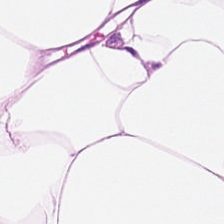H&E-stained tissue section.
This patch shows adipose tissue.
